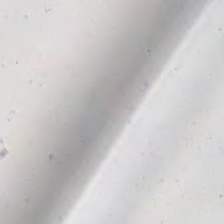Hematoxylin-and-eosin stained section. Classification = no tissue.
